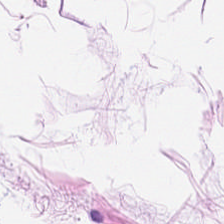Histology — adipose tissue.
